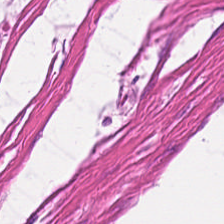Brightfield microscopy · hematoxylin and eosin · 0.5 microns per pixel — The tissue here is smooth muscle.
